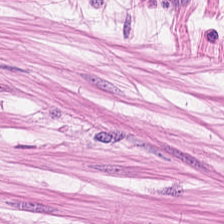H&E. Impression — smooth-muscle tissue.
